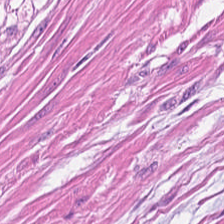Predominantly muscularis.
